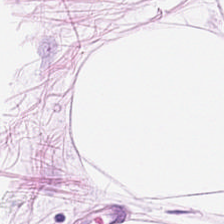H&E-stained tissue section.
The tissue class is adipocytes.
